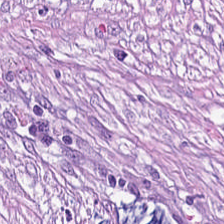Predominantly tumor stroma.
